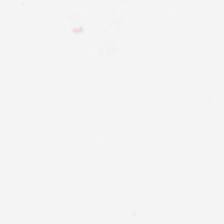Hematoxylin-and-eosin stained section.
Classification — background.
